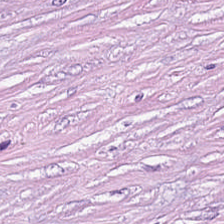Predominantly tumor-associated stroma.
